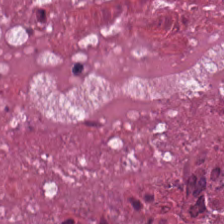Hematoxylin and eosin — Classification: necrotic debris.
